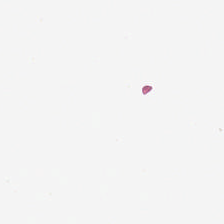H&E.
Classification: background (no tissue).
